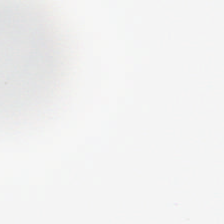224×224 pixel tile. H&E-stained tissue section. 20× equivalent magnification.
Q: Classify this patch.
A: It is no tissue.
